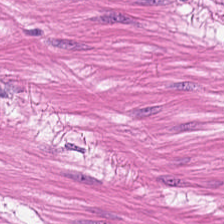H&E-stained tissue section; whole-slide-image patch; FFPE.
Q: What tissue type is shown here?
A: This is smooth-muscle tissue.
